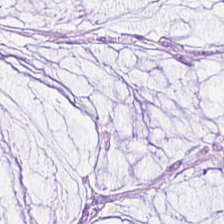{"tissue_type": "extracellular mucin"}
